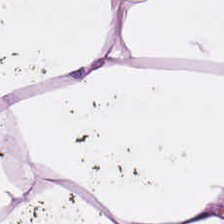Hematoxylin-and-eosin section: adipose tissue.
